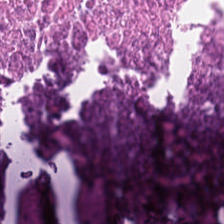Stain: H&E-stained tissue section.
Classification: necrotic debris.
